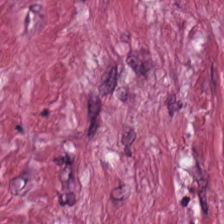H&E-stained tissue section · formalin-fixed paraffin-embedded section. The classification is tumor-associated stroma.
